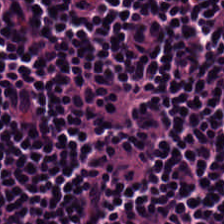Tissue: lymphocyte aggregate.
